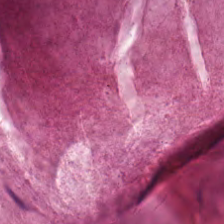Hematoxylin-and-eosin stained section. The tissue here is mucin.
